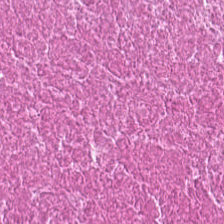H&E stain. 0.5 µm/px. Brightfield microscopy.
Classification = cellular debris.
